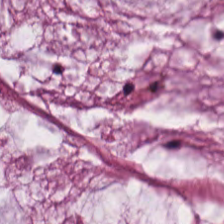0.5 microns per pixel · 224×224 px patch · hematoxylin and eosin — Q: What tissue type is shown here?
A: This is mucin.
